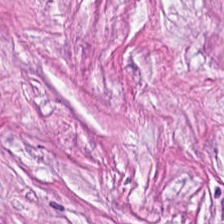H&E-stained tissue section — Tissue type: desmoplastic stroma.
